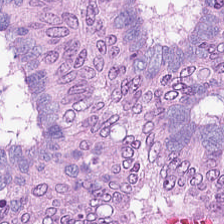H&E stain — The predominant tissue is tumor epithelium.
